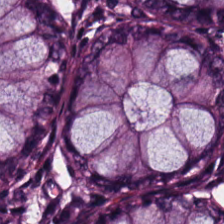H&E · 20× equivalent magnification — Tissue: benign colonic mucosa.
